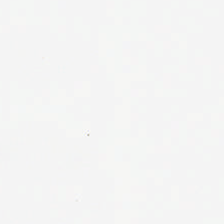Classification: empty background.
